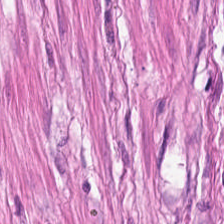Stain: H&E stain.
Preparation: FFPE.
Tissue: muscularis.
